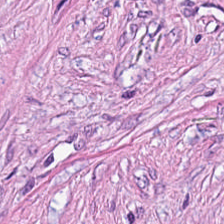Hematoxylin and eosin.
Impression → cancer-associated stroma.
